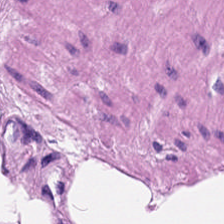Hematoxylin-and-eosin stained section — Classification: smooth-muscle tissue.
